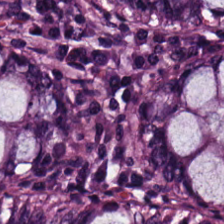Whole-slide-image patch. 224×224 px tile. H&E stain. Non-neoplastic colon mucosa.
